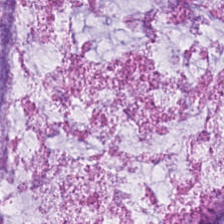H&E stain. Q: What does this patch show?
A: Extracellular mucin.
